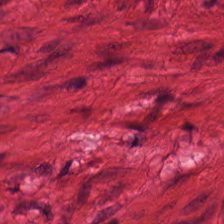224×224 pixel tile; H&E; WSI patch.
Histology → smooth muscle.
